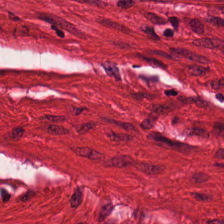H&E stain — Q: What is shown here?
A: This is smooth-muscle tissue.
